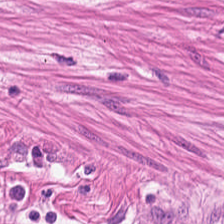{"tissue_type": "smooth-muscle tissue"}
